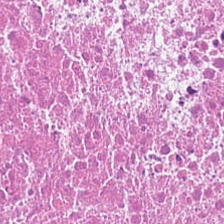Formalin-fixed paraffin-embedded section · 0.5 microns per pixel · H&E-stained tissue section.
Tissue type = debris.
